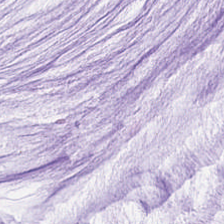Tissue class — extracellular mucin.
